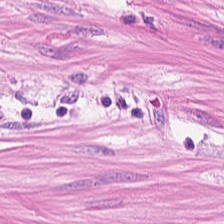Formalin-fixed paraffin-embedded section · hematoxylin and eosin.
This patch shows smooth muscle.
